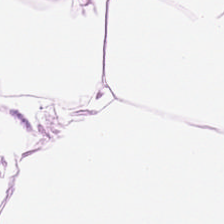H&E-stained tissue section.
Q: What does this patch show?
A: This is adipocytes.
